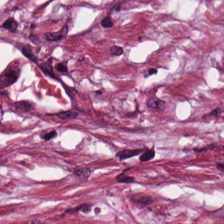Showing tumor stroma.
